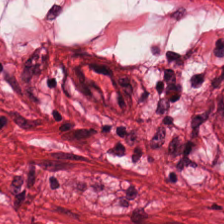Hematoxylin-and-eosin stained section.
Predominant tissue — smooth muscle.
